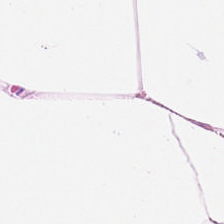Adipocytes.
